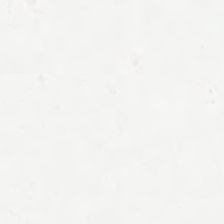H&E-stained tissue section. Q: What is shown here?
A: The field shows no tissue.
